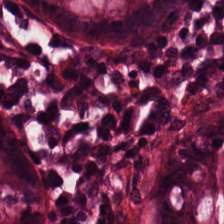Brightfield · H&E — Showing non-neoplastic colon mucosa.
